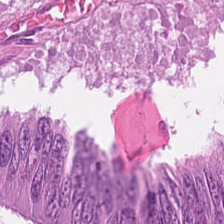Hematoxylin and eosin. 20× equivalent magnification — Predominantly malignant epithelium.
